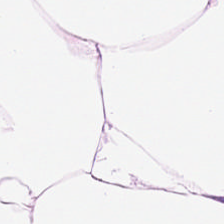Hematoxylin and eosin.
The tissue class is adipose.
